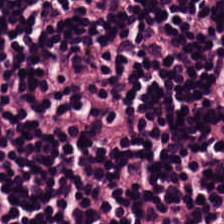H&E.
The classification is lymphocytes.
